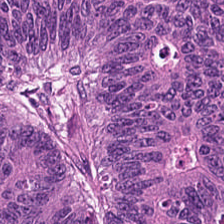Brightfield microscopy. Hematoxylin and eosin.
Tissue = colorectal adenocarcinoma.
